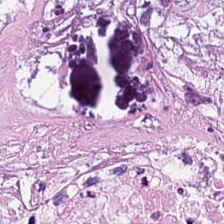Hematoxylin and eosin.
Predominantly debris.
